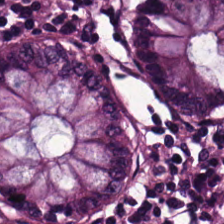H&E-stained tissue section.
Finding — non-neoplastic colon mucosa.
